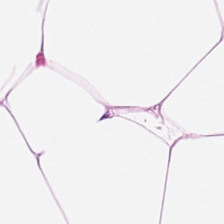Whole-slide-image patch. 224×224 px patch. Hematoxylin and eosin.
Histology — adipose.
